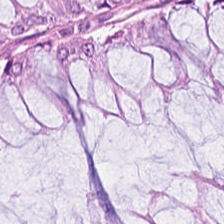Stain: hematoxylin and eosin.
Tissue type: normal colonic mucosa.
